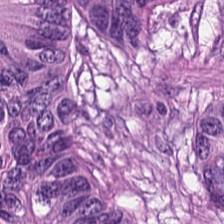H&E — This field is adenocarcinoma.
